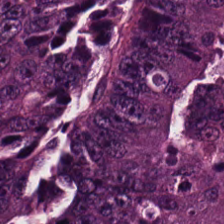Q: What is shown in this field?
A: It is malignant epithelium.
